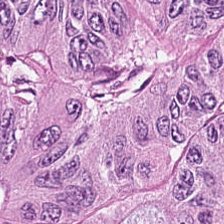Hematoxylin and eosin — Predominant tissue — tumor epithelium.
